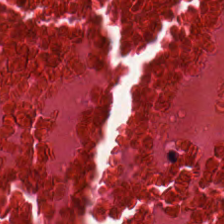The tissue here is necrotic debris.
